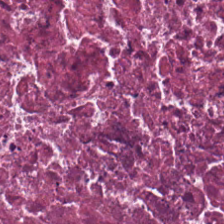FFPE tissue section. 224×224 px tile. H&E. The predominant tissue is cellular debris.
